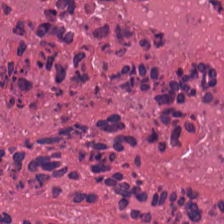Stain: H&E stain.
Tile size: 224×224 px tile.
Predominant tissue: debris.
